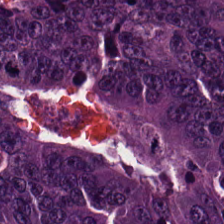Hematoxylin and eosin.
Tissue type: colorectal adenocarcinoma.
